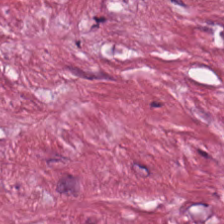FFPE tissue section; 20× equivalent magnification; H&E.
Predominant tissue — tumor stroma.
